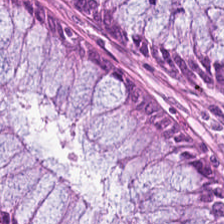Whole-slide-image patch. H&E-stained tissue section. Formalin-fixed paraffin-embedded section.
Tissue class — normal colon mucosa.
